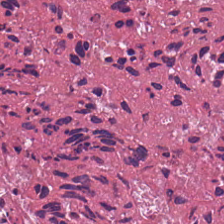Q: What tissue is shown?
A: It is cellular debris.
